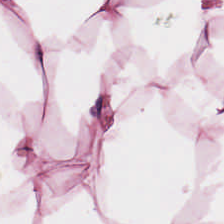Finding — adipose.
